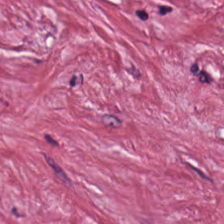H&E-stained tissue section.
This patch shows cancer-associated stroma.
